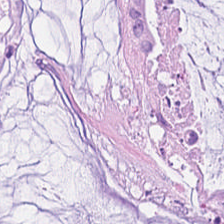H&E stain; FFPE.
Q: What tissue type is shown here?
A: The field shows extracellular mucin.
